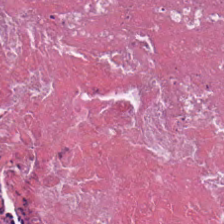Hematoxylin and eosin. Q: What is shown here?
A: It is debris.
